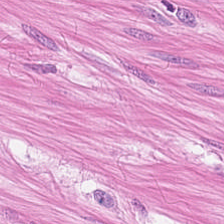This patch shows smooth muscle.
